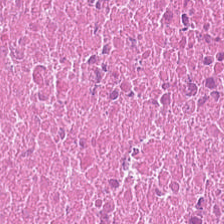Hematoxylin-and-eosin stained section. Tissue class — necrotic debris.
